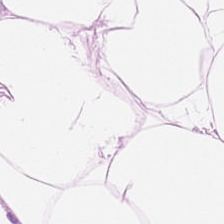0.5 µm per pixel. H&E stain.
Impression — adipose.
